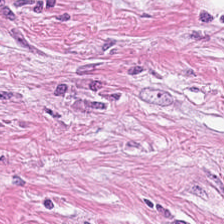H&E. FFPE. This patch shows tumor stroma.
